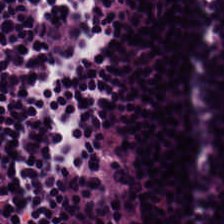The tissue here is lymphocytic infiltrate.
